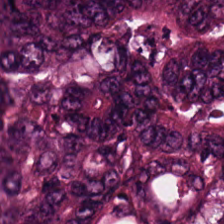Stain: H&E stain.
Acquisition: brightfield microscopy.
Tile size: 224×224 pixel tile.
Predominant tissue: colorectal adenocarcinoma.
